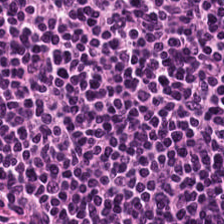Hematoxylin-and-eosin stained section · FFPE tissue section — The tissue here is lymphocyte aggregate.
